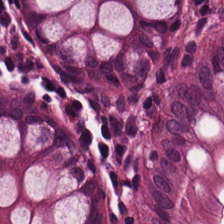H&E-stained tissue section. WSI patch. FFPE — Q: What is shown in this field?
A: This is normal colon mucosa.
